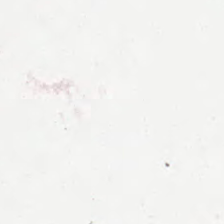This field is background (no tissue).
